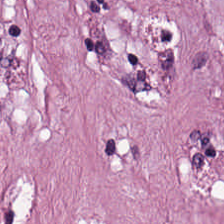Stain: hematoxylin-and-eosin stained section.
Tissue class: tumor stroma.
